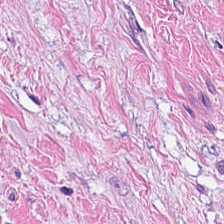Tissue type: tumor stroma.
